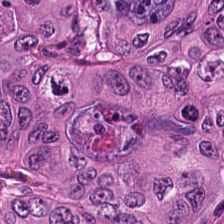Hematoxylin-and-eosin stained section — This field is malignant epithelium.
